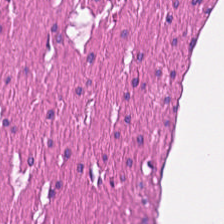H&E stain — This field is smooth-muscle tissue.
